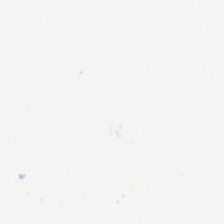224×224 px tile · hematoxylin-and-eosin stained section.
Q: What is shown in this field?
A: Background.
